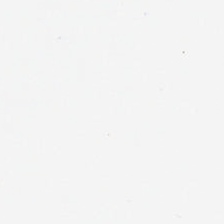Hematoxylin-and-eosin stained section. WSI patch. Finding — background (no tissue).
